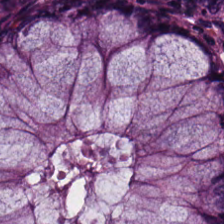H&E-stained tissue section; FFPE — Predominantly non-neoplastic colon mucosa.
